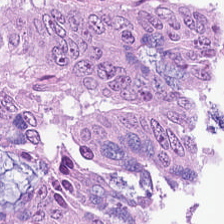H&E-stained tissue section. Finding — colorectal adenocarcinoma.
